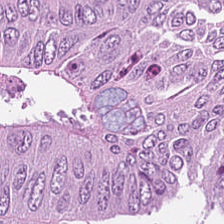H&E-stained tissue section. Q: What tissue type is shown here?
A: This is adenocarcinoma.
